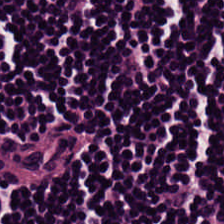H&E stain · 20× equivalent magnification. Showing lymphoid infiltrate.
